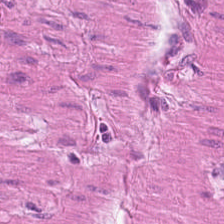H&E stain.
Histology → smooth-muscle tissue.
